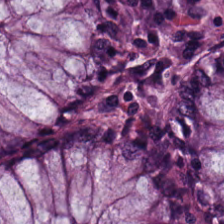Stain: hematoxylin and eosin.
Classification: normal colon mucosa.
